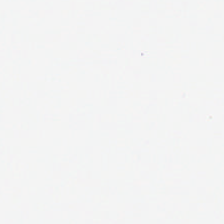Field content: empty background.
